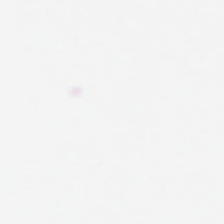H&E-stained tissue section. This patch shows no tissue.
